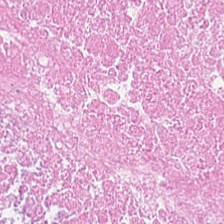H&E — Finding → debris.
